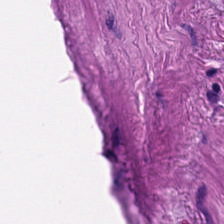H&E-stained tissue section. Predominantly smooth-muscle tissue.
